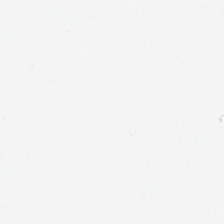Hematoxylin and eosin · 0.5 µm per pixel — Empty field — background.
